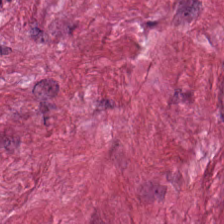Hematoxylin and eosin.
The predominant tissue is tumor-associated stroma.
